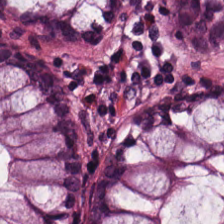Hematoxylin and eosin; 224×224 pixel tile. Tissue type — normal colon mucosa.
